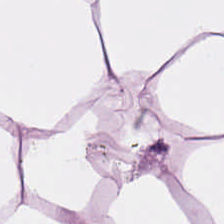0.5 µm/px · H&E stain · FFPE tissue section — Finding → adipocytes.
